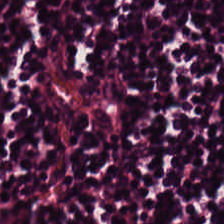H&E-stained tissue section.
Q: What is shown in this field?
A: The field shows lymphoid infiltrate.
